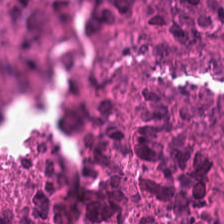Hematoxylin and eosin · FFPE. The predominant tissue is necrotic debris.
